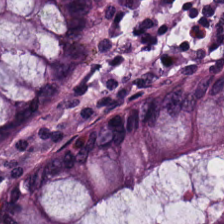Tissue class: normal colon mucosa.
